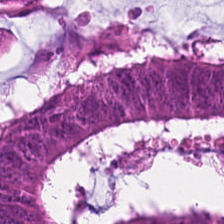H&E.
Predominant tissue: malignant epithelium.
